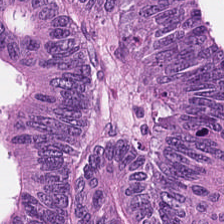FFPE tissue section; hematoxylin-and-eosin stained section.
This patch shows malignant epithelium.
